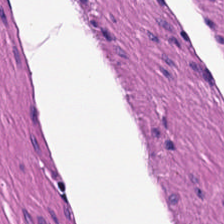Stain: H&E-stained tissue section.
Acquisition: brightfield microscopy.
Resolution: 0.5 µm/px.
Tissue type: muscularis.
